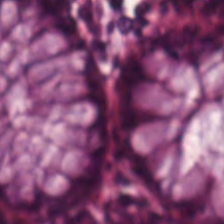H&E-stained tissue section — Q: What is the predominant tissue type?
A: This is normal colonic mucosa.
